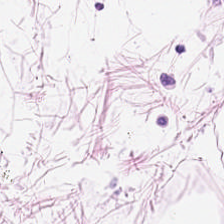224×224 pixel tile; H&E.
The predominant tissue is adipose tissue.
